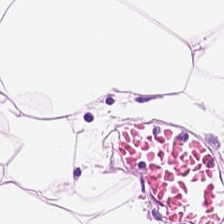H&E stain — This patch shows fat tissue.
